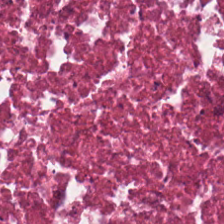H&E-stained tissue section.
Predominantly cellular debris.
